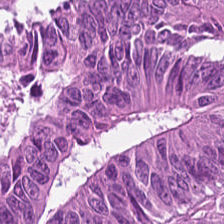H&E stain; 0.5 µm per pixel.
The predominant tissue is adenocarcinoma.
